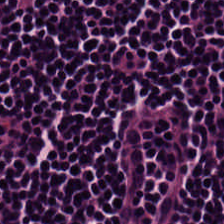Hematoxylin and eosin — Histology — lymphoid infiltrate.
